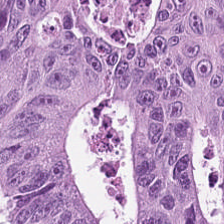H&E-stained tissue section.
This patch shows adenocarcinoma.
